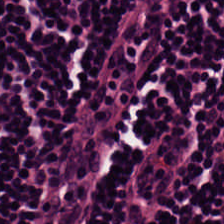FFPE; brightfield; H&E stain. The tissue here is lymphoid infiltrate.
